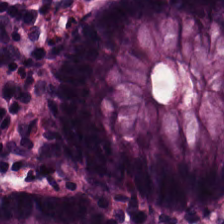FFPE. H&E — This patch shows normal colonic mucosa.
